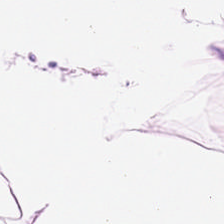Q: Identify the tissue.
A: This is fat tissue.
